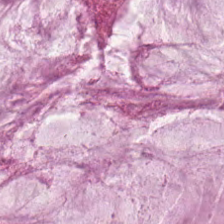0.5 µm/px; hematoxylin and eosin; 224×224 px tile.
Impression — mucus.
